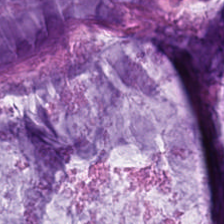Whole-slide-image patch · formalin-fixed paraffin-embedded section · H&E stain. Finding — extracellular mucin.
